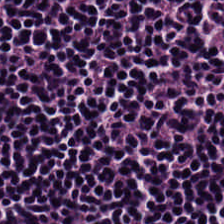Hematoxylin and eosin. Tissue type = lymphocytes.
